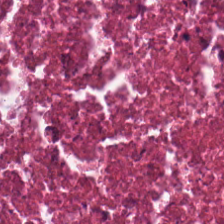Stain: H&E.
Classification: necrotic debris.
